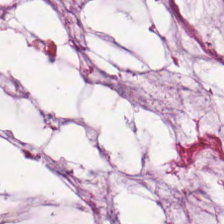224×224 px tile · brightfield microscopy · hematoxylin-and-eosin stained section — Tissue class — extracellular mucin.
